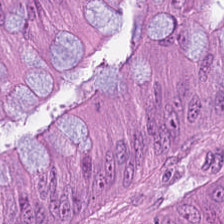H&E-stained tissue section. This field is adenocarcinoma.
